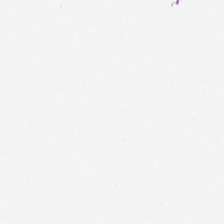H&E-stained tissue section. Content — empty background.
